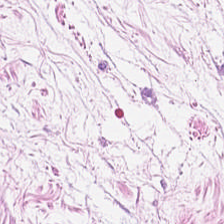Stain: hematoxylin and eosin.
Predominant tissue: adipose.
